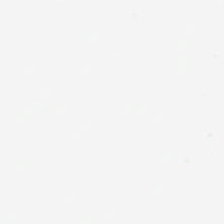Hematoxylin-and-eosin stained section. No tissue present; background only.
